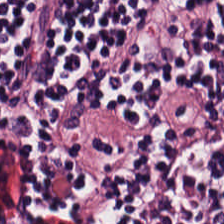H&E stain. Predominant tissue: lymphocytic infiltrate.
